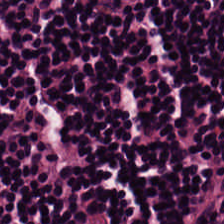Classification — lymphocytes.
